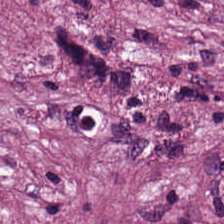Hematoxylin and eosin.
The tissue is desmoplastic stroma.
